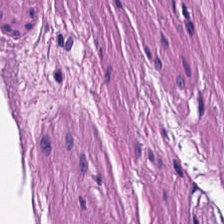Hematoxylin-and-eosin stained section.
Finding → smooth-muscle tissue.
